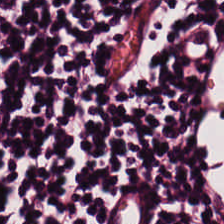224×224 px tile · H&E-stained tissue section — Q: Identify the tissue.
A: This is lymphocyte aggregate.
